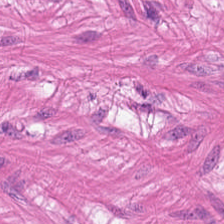H&E-stained section; the field shows muscularis.
